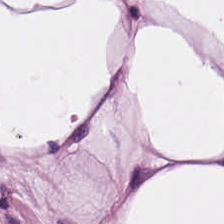Brightfield; formalin-fixed paraffin-embedded section; H&E.
Classification — adipocytes.
